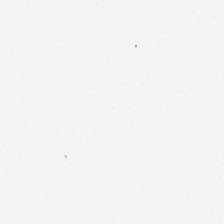H&E stain. Field content — no tissue.
